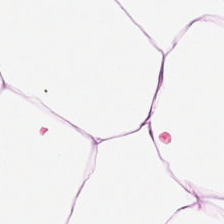Hematoxylin-and-eosin stained section. 0.5 microns per pixel. This field is fat tissue.
